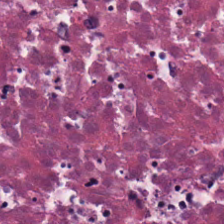H&E stain — Tissue type: debris.
